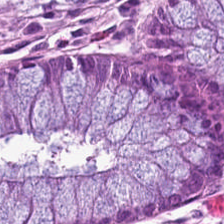Hematoxylin-and-eosin stained section. 224×224 pixel tile. Normal colonic mucosa.
